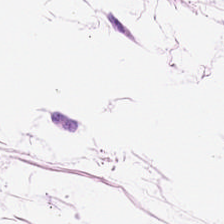Predominantly adipose.
